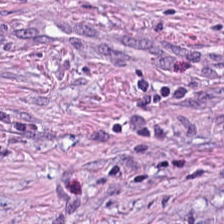0.5 µm per pixel; H&E stain. Tissue — cancer-associated stroma.
